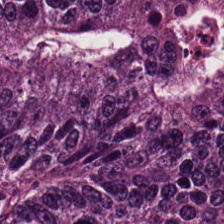Q: What is shown here?
A: It is malignant epithelium.
